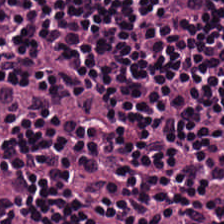224×224 pixel tile. Hematoxylin and eosin. Showing lymphocytes.
